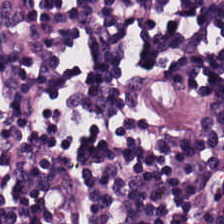Hematoxylin-and-eosin stained section. 224×224 px patch. Impression — lymphocytes.
